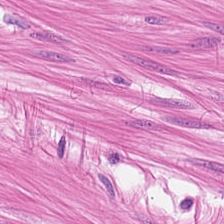H&E — Impression — smooth-muscle tissue.
